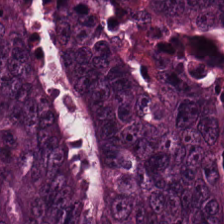Hematoxylin and eosin.
Colorectal adenocarcinoma.
